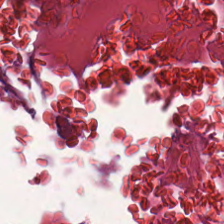H&E stain — {"tissue_type": "cellular debris"}
